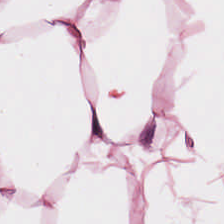H&E-stained tissue section; 20× equivalent magnification. Q: Classify this patch.
A: Adipocytes.
